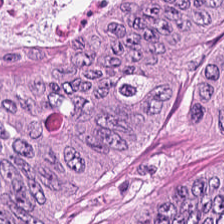The predominant tissue is tumor epithelium.
